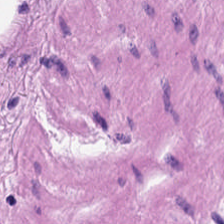0.5 microns per pixel; formalin-fixed paraffin-embedded section; hematoxylin-and-eosin stained section — Showing muscularis.
